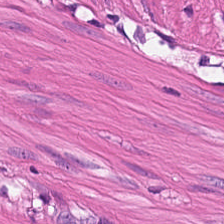Q: Identify the tissue.
A: The field shows smooth-muscle tissue.
